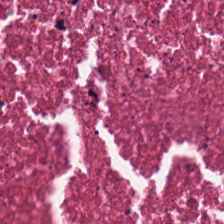20× equivalent magnification; H&E. This field is necrotic debris.
